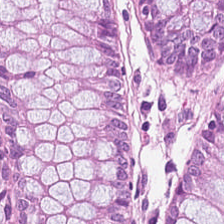0.5 microns per pixel; hematoxylin-and-eosin stained section; 224×224 px patch — Tissue = normal colonic mucosa.
